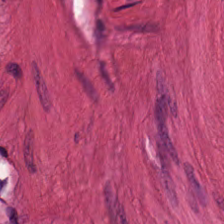Predominantly muscularis.
